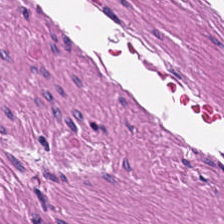Brightfield · hematoxylin and eosin · 20× equivalent magnification. Impression → muscularis.
